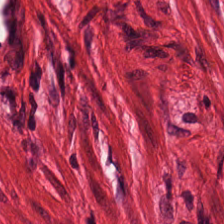Brightfield microscopy. 20× equivalent magnification. Hematoxylin and eosin.
Q: What is shown in this field?
A: The field shows muscularis.
